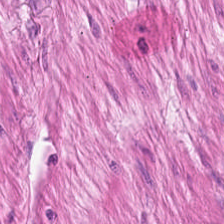H&E-stained tissue section. Showing muscularis.
